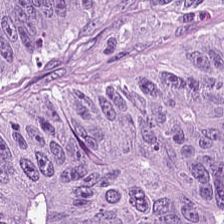H&E — This patch shows tumor epithelium.
